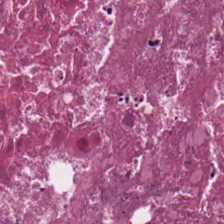FFPE. H&E stain.
Debris.
